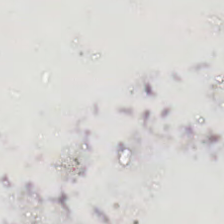This field is background (no tissue).
